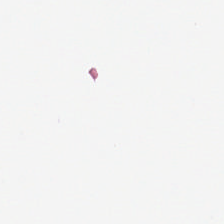H&E-stained tissue section. Background — no tissue in this field.
